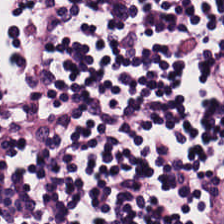H&E stain — {"tissue_type": "lymphocytes"}
